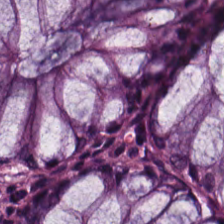H&E stain · FFPE tissue section · 0.5 µm/px — The predominant tissue is benign colonic mucosa.
